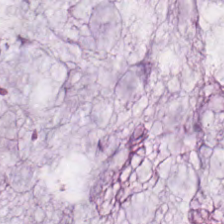H&E-stained tissue section. WSI patch — Finding — extracellular mucin.
